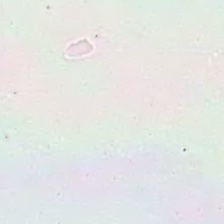Content: background (no tissue).
